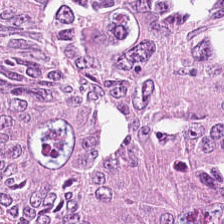Stain: hematoxylin-and-eosin stained section.
Tissue class: tumor epithelium.
